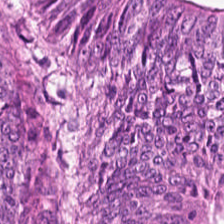H&E stain. 0.5 µm/px. The predominant tissue is adenocarcinoma.
